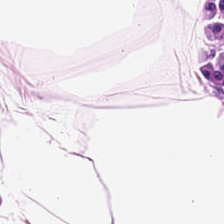Histology → adipocytes.
